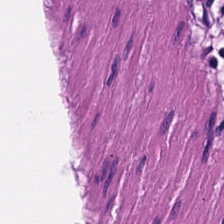Q: What type of tissue is this?
A: The field shows smooth muscle.
